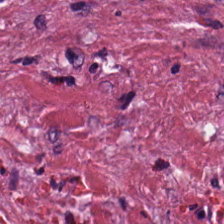Hematoxylin-and-eosin section: desmoplastic stroma.
